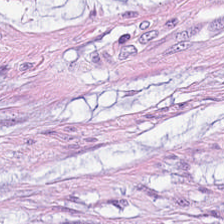H&E stain · 224×224 px tile.
Q: Identify the tissue.
A: The field shows mucin.
